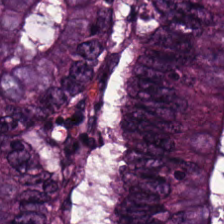Tissue = malignant epithelium.
